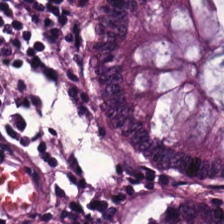224×224 px patch · H&E stain. Q: What type of tissue is this?
A: It is benign colonic mucosa.
